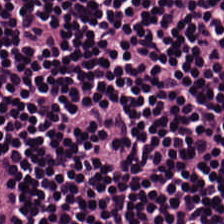Predominantly lymphocytes.
